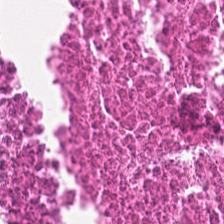Hematoxylin-and-eosin stained section. Tissue class — debris.
